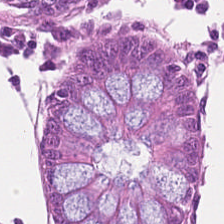H&E-stained tissue section.
This patch shows normal colon mucosa.
